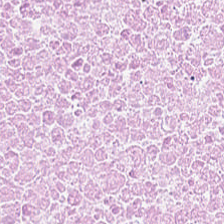H&E stain. The predominant tissue is debris.
